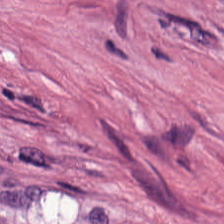The tissue is desmoplastic stroma.
